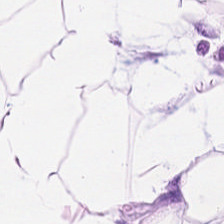Stain: hematoxylin and eosin.
Resolution: 0.5 µm per pixel.
Predominant tissue: fat tissue.
